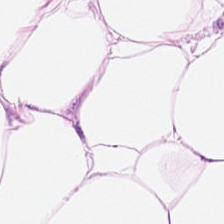H&E-stained tissue section.
The tissue class is adipose.
